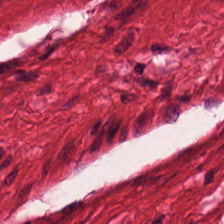224×224 pixel tile; hematoxylin and eosin; brightfield — Muscularis.
